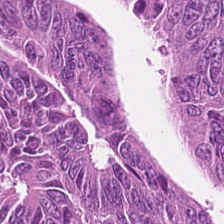Stain: H&E stain.
Tissue class: colorectal adenocarcinoma epithelium.
